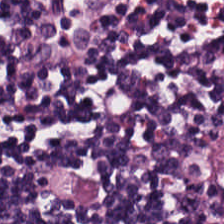Q: Classify this patch.
A: Lymphoid infiltrate.
